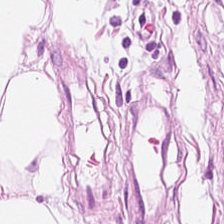Finding → adipose.
